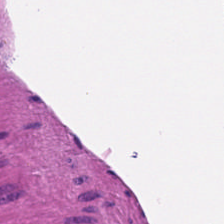FFPE tissue section · whole-slide-image patch · hematoxylin-and-eosin stained section. Tissue class — muscularis.
